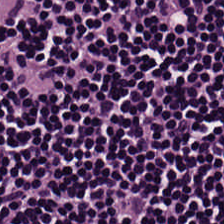20× equivalent magnification. Hematoxylin and eosin. 224×224 pixel tile. Q: Classify this patch.
A: The field shows lymphocytes.
